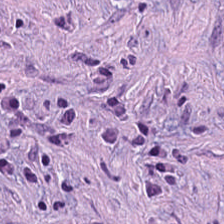224×224 pixel tile · FFPE · H&E-stained tissue section — Predominant tissue — tumor stroma.
